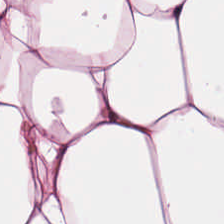H&E stain.
Predominantly adipocytes.
